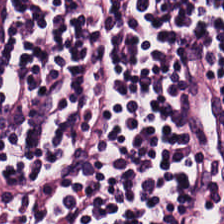Stain: H&E-stained tissue section.
Tile size: 224×224 px patch.
Preparation: FFPE tissue section.
Tissue type: lymphocyte aggregate.
